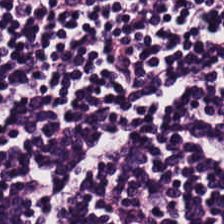Hematoxylin and eosin.
Histology — lymphocytic infiltrate.
